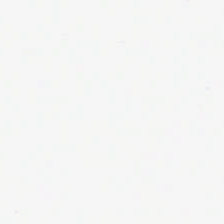Content — background (no tissue).
